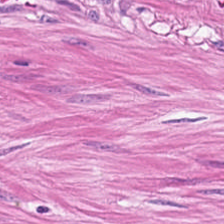224×224 px tile · hematoxylin-and-eosin stained section · WSI patch — Showing smooth muscle.
